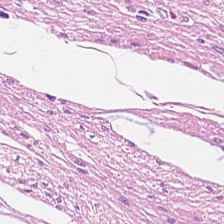Hematoxylin-and-eosin stained section — The tissue class is smooth muscle.
